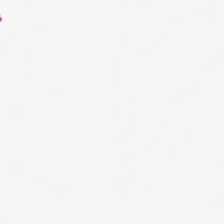This field is background (no tissue).
